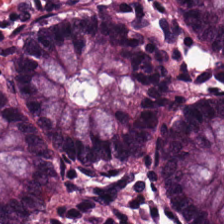Hematoxylin-and-eosin stained section.
The tissue here is non-neoplastic colon mucosa.
